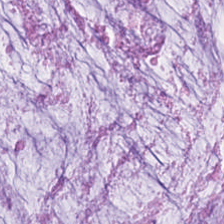Q: What type of tissue is this?
A: This is mucus.
